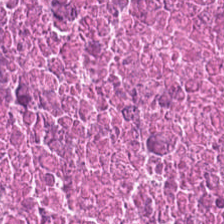Q: What is shown here?
A: Cellular debris.
